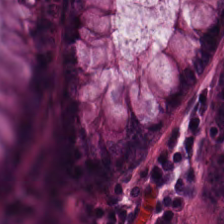Stain: H&E stain.
Tissue class: non-neoplastic colon mucosa.
